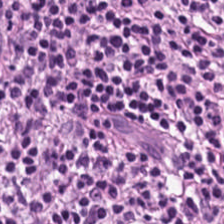Hematoxylin and eosin.
Tissue class = lymphocytic infiltrate.
